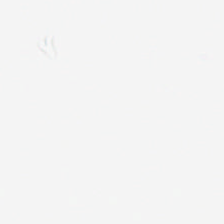20× equivalent magnification · H&E stain. Content = background (no tissue).
